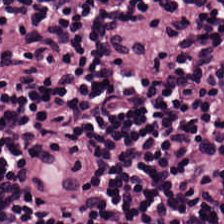Tissue class = lymphocyte aggregate.
